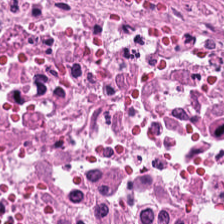H&E stain · FFPE.
The tissue class is cellular debris.
